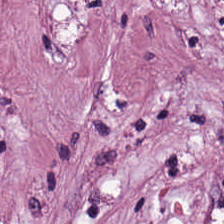Q: What is shown in this field?
A: The field shows tumor-associated stroma.
